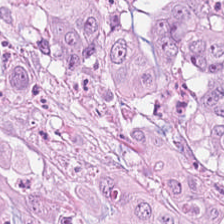H&E-stained tissue section; 224×224 px patch — Tumor epithelium.
